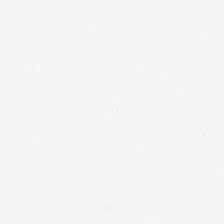H&E stain.
Background — no tissue in this field.
